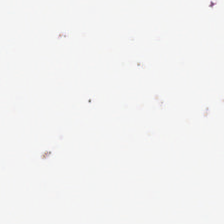H&E.
Empty field — background.
